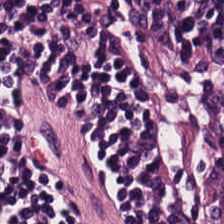H&E · 0.5 µm per pixel — Tissue: lymphocyte aggregate.
